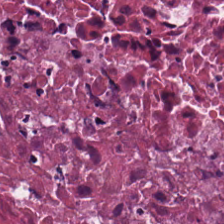Hematoxylin-and-eosin stained section.
Impression → debris.
